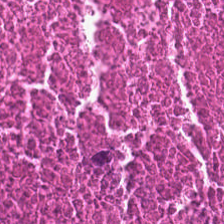H&E stain.
This patch shows cellular debris.
